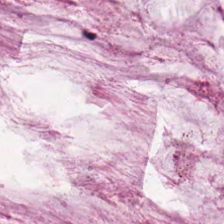20× equivalent magnification. Hematoxylin-and-eosin stained section. Q: What is shown here?
A: The field shows extracellular mucin.
